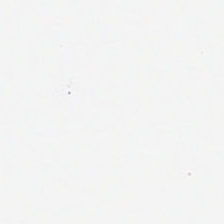This patch shows no tissue.
